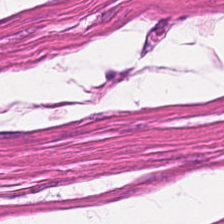This field is smooth-muscle tissue.
